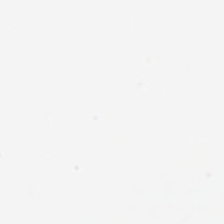Hematoxylin-and-eosin stained section — Field content: no tissue.
